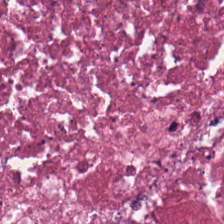{"tissue_type": "necrotic debris"}
